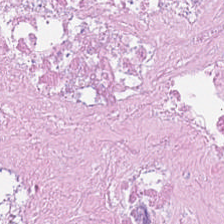H&E-stained tissue section. 224×224 px tile. Histology — debris.
